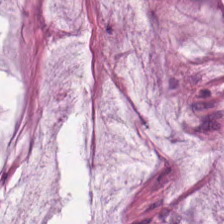H&E-stained tissue section.
Q: Classify this patch.
A: It is mucus.
